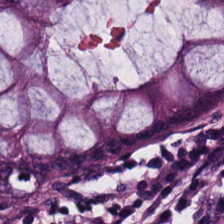H&E. Classification: non-neoplastic colon mucosa.
